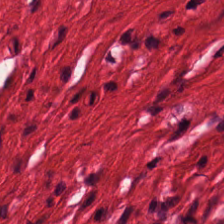Stain: hematoxylin and eosin.
Predominant tissue: smooth-muscle tissue.
